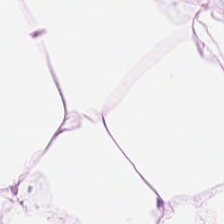H&E — The tissue here is adipocytes.
